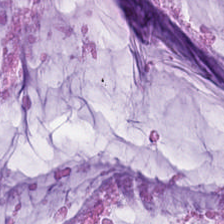H&E.
This field is extracellular mucin.
